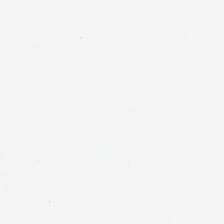Empty field — empty background.
